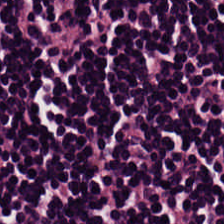Hematoxylin-and-eosin stained section. Lymphocyte aggregate.
